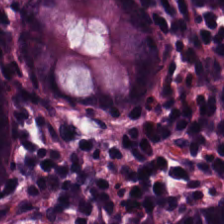Histology — normal colonic mucosa.
